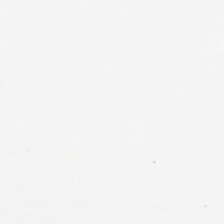H&E.
Q: Classify this patch.
A: It is empty background.
